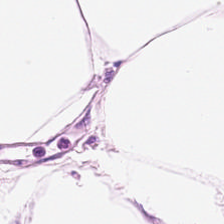Predominant tissue — adipose.
